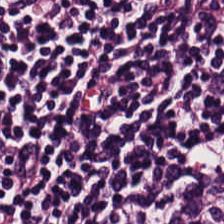H&E stain; 224×224 px tile.
Classification — lymphocytes.
